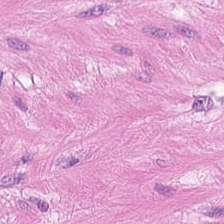Stain: H&E-stained tissue section.
Predominant tissue: smooth-muscle tissue.
